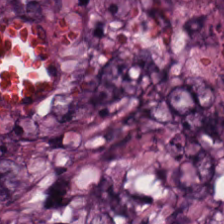H&E-stained tissue section.
Finding → colorectal adenocarcinoma epithelium.
